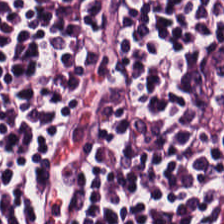Stain: H&E-stained tissue section.
Tissue class: lymphoid infiltrate.
